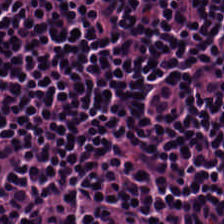H&E stain. Q: Identify the tissue.
A: It is lymphocyte aggregate.
